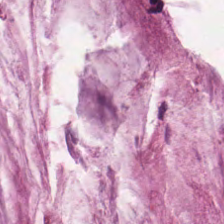Hematoxylin and eosin. Tissue: extracellular mucin.
